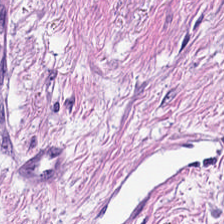Formalin-fixed paraffin-embedded section · hematoxylin-and-eosin stained section. Histology — smooth muscle.
